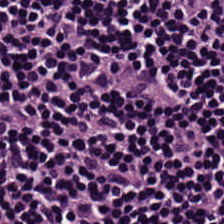H&E stain · formalin-fixed paraffin-embedded section — Predominantly lymphocytic infiltrate.
